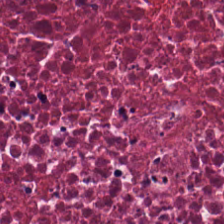H&E stain.
Predominantly cellular debris.
